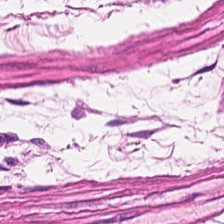FFPE tissue section; hematoxylin and eosin; whole-slide-image patch. {"tissue_type": "smooth muscle"}
